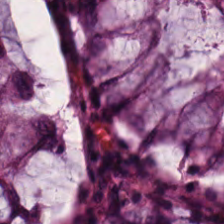Hematoxylin and eosin.
This field is normal colon mucosa.
